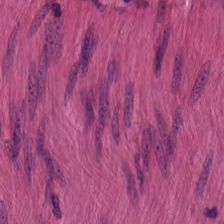H&E stain.
Classification — smooth muscle.
